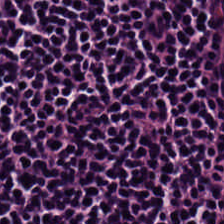Hematoxylin and eosin. Tissue class: lymphocytic infiltrate.
